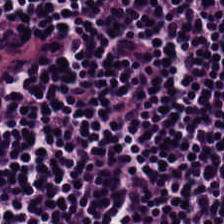Hematoxylin-and-eosin stained section · 0.5 microns per pixel.
Predominant tissue = lymphocytes.
